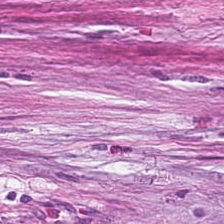Hematoxylin and eosin — This patch shows tumor stroma.
